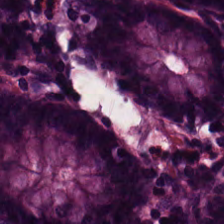The predominant tissue is normal colon mucosa.
